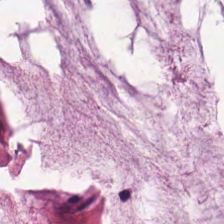Extracellular mucin.
